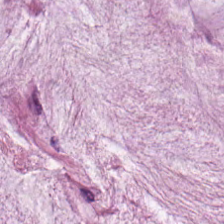Q: What does this patch show?
A: The field shows mucus.
